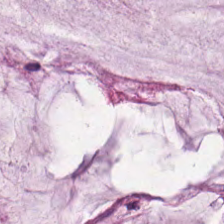Hematoxylin-and-eosin stained section — The predominant tissue is extracellular mucin.
